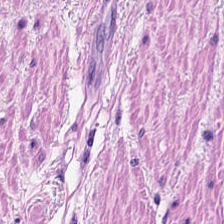Stain: H&E-stained tissue section.
Classification: muscularis.
